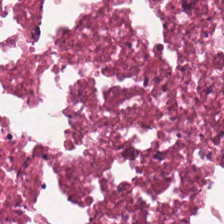H&E-stained tissue section; 0.5 microns per pixel.
The tissue here is cellular debris.
